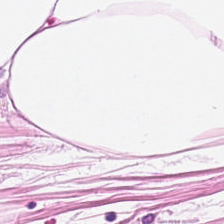H&E-stained tissue section; FFPE tissue section.
Showing adipose tissue.
